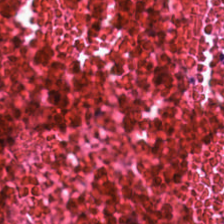Tissue — necrotic debris.
